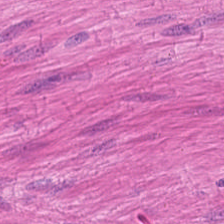H&E stain. The tissue is smooth-muscle tissue.
